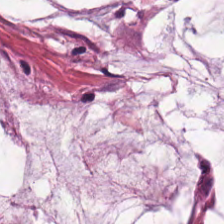H&E. Q: What tissue type is shown here?
A: It is mucin.
